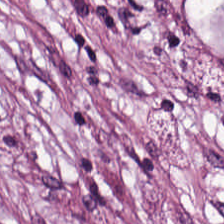H&E.
The tissue class is cancer-associated stroma.
